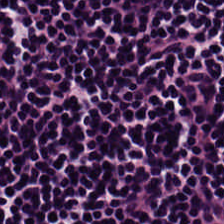H&E-stained tissue section — Tissue type — lymphocytic infiltrate.
